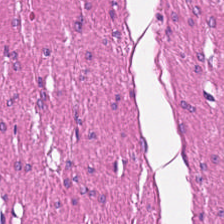Hematoxylin-and-eosin stained section.
Finding — muscularis.
